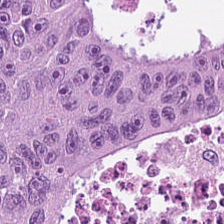Stain: H&E stain.
Tissue class: malignant epithelium.
